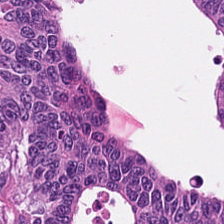H&E-stained tissue section; 224×224 px patch; formalin-fixed paraffin-embedded section.
The classification is colorectal adenocarcinoma epithelium.
